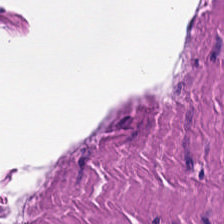FFPE tissue section · H&E. Impression — smooth-muscle tissue.
